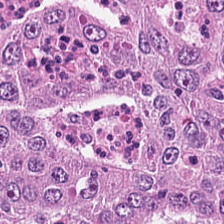This field is adenocarcinoma.
